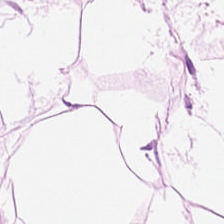Hematoxylin-and-eosin stained section. Predominant tissue: adipose tissue.
